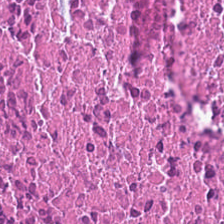H&E. Necrotic debris.
